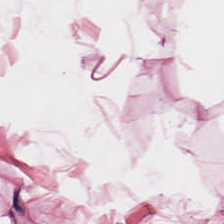224×224 px patch. H&E stain.
The predominant tissue is adipocytes.
